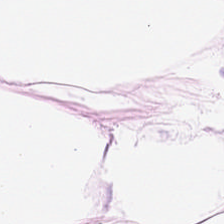Hematoxylin-and-eosin stained section. Brightfield. 0.5 µm per pixel.
Predominant tissue — adipose tissue.
